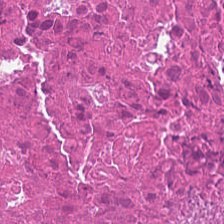H&E stain; 20× equivalent magnification — The tissue type is necrotic debris.
